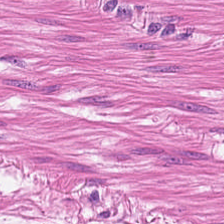This patch shows smooth-muscle tissue.
